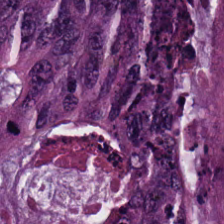Stain: H&E.
Classification: colorectal adenocarcinoma.
